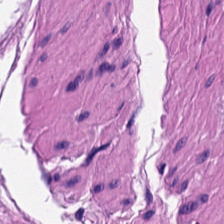FFPE tissue section. 0.5 µm per pixel. Hematoxylin and eosin.
Q: What is the predominant tissue type?
A: Muscularis.
